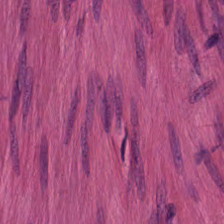Stain: hematoxylin-and-eosin stained section.
Classification: smooth muscle.
